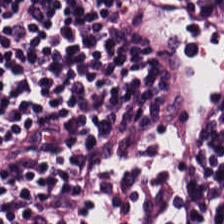The predominant tissue is lymphoid infiltrate.
